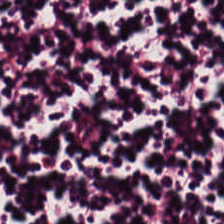Hematoxylin and eosin — This patch shows lymphocyte aggregate.
